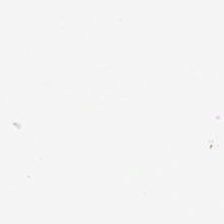Hematoxylin and eosin — Finding → empty background.
